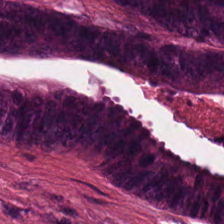H&E stain.
Tissue type: colorectal adenocarcinoma epithelium.
